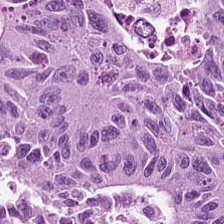H&E — Tissue class = malignant epithelium.
